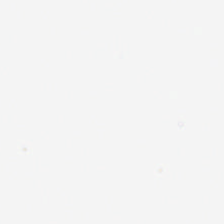Stain: H&E-stained tissue section.
Classification: background.
